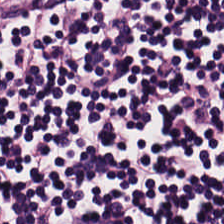Stain: hematoxylin and eosin.
Classification: lymphoid infiltrate.
